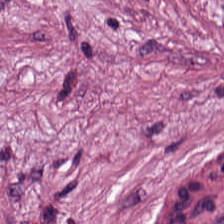WSI patch. Hematoxylin and eosin.
Q: What is the predominant tissue type?
A: It is tumor-associated stroma.
